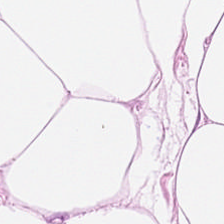H&E.
Histology → adipocytes.
